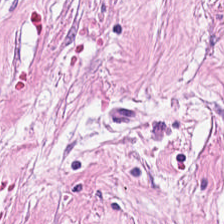Hematoxylin and eosin. Tissue: tumor-associated stroma.
